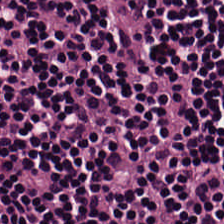Tissue class — lymphocyte aggregate.
